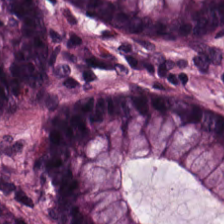H&E stain — Q: What tissue type is shown here?
A: The field shows normal colonic mucosa.
